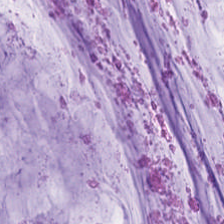Brightfield · hematoxylin-and-eosin stained section — Q: What tissue is shown?
A: This is mucus.
